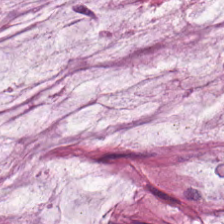Stain: hematoxylin-and-eosin stained section.
Tissue: mucus.
